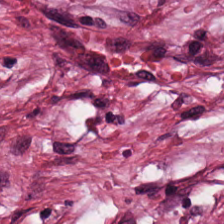H&E-stained tissue section — Predominant tissue = tumor-associated stroma.
